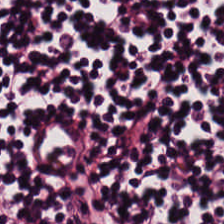224×224 pixel tile; brightfield; H&E-stained tissue section.
Finding → lymphocytes.
